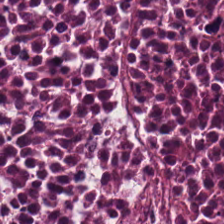H&E-stained tissue section · 224×224 pixel tile — Q: What tissue type is shown here?
A: It is cellular debris.
